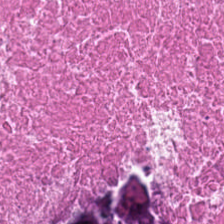Q: What is shown here?
A: It is cellular debris.
